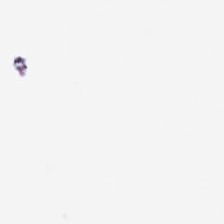H&E stain · 0.5 microns per pixel. Content = background (no tissue).
